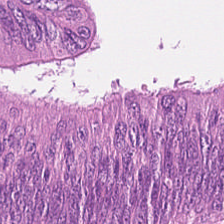FFPE. H&E stain.
{"tissue_type": "malignant epithelium"}
